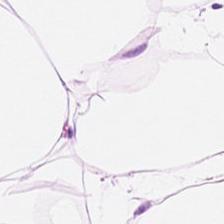WSI patch · 224×224 px tile · H&E-stained tissue section — Q: Classify this patch.
A: The field shows adipose.
